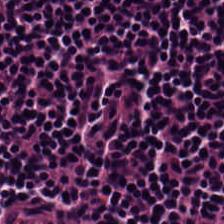Predominant tissue: lymphocyte aggregate.
